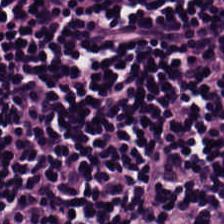H&E stain · 0.5 µm/px · FFPE tissue section — Predominantly lymphocytes.
